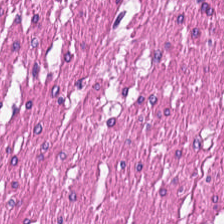224×224 px patch; hematoxylin and eosin. This field is smooth muscle.
